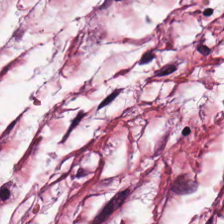H&E patch showing tumor stroma.
